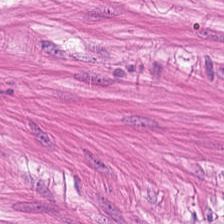Stain: hematoxylin and eosin.
Tissue: smooth muscle.
